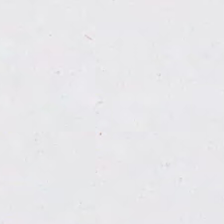Stain: hematoxylin and eosin.
Classification: empty background.
